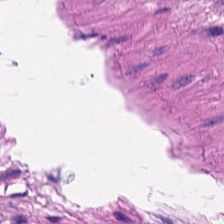H&E — muscularis.
